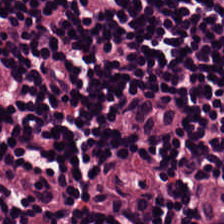H&E-stained tissue section; whole-slide-image patch — Tissue = lymphocyte aggregate.
